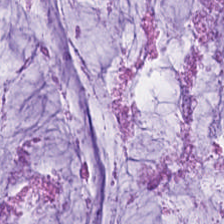H&E stain; 224×224 px tile — This patch shows mucin.
